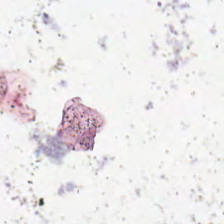H&E — Classification: empty background.
